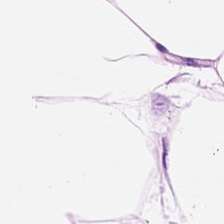H&E stain.
The tissue class is adipocytes.
